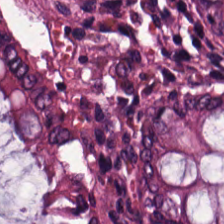H&E stain. Classification = normal colonic mucosa.
